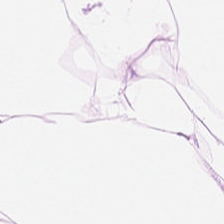H&E-stained tissue section — Showing fat tissue.
